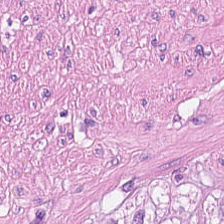H&E patch showing muscularis.
